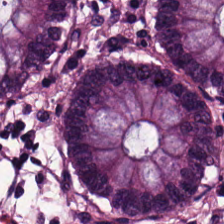Hematoxylin-and-eosin stained section. Tissue — non-neoplastic colon mucosa.
